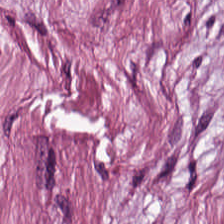H&E — desmoplastic stroma.
